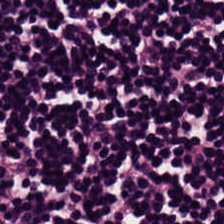20× equivalent magnification. H&E stain.
Finding — lymphoid infiltrate.
